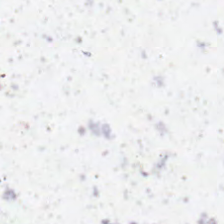H&E-stained tissue section; 0.5 µm per pixel. Classification = no tissue.
